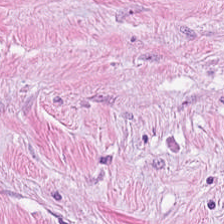Q: What is the predominant tissue type?
A: Desmoplastic stroma.
